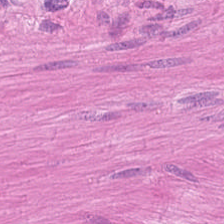224×224 px patch. H&E stain. The classification is muscularis.
